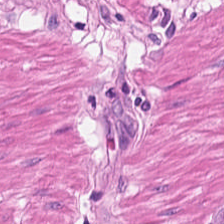20× equivalent magnification; H&E; formalin-fixed paraffin-embedded section. Finding — smooth muscle.
